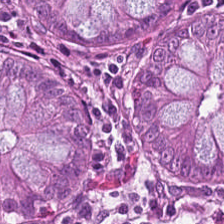224×224 px tile · H&E-stained tissue section · 0.5 µm per pixel. Tissue — non-neoplastic colon mucosa.
